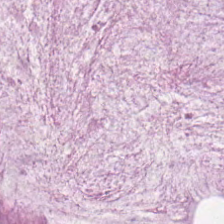Q: What type of tissue is this?
A: The field shows extracellular mucin.
